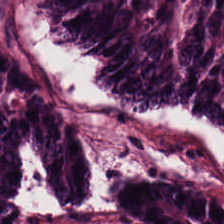H&E-stained tissue section — This patch shows colorectal adenocarcinoma.
